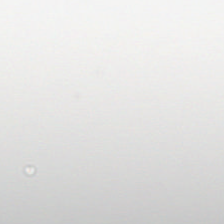Empty field — background.
